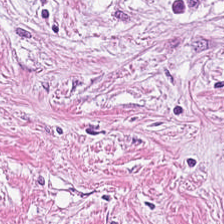H&E stain.
The tissue type is tumor stroma.
